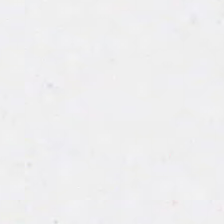Brightfield microscopy; hematoxylin and eosin; 224×224 px tile — Classification: no tissue.
